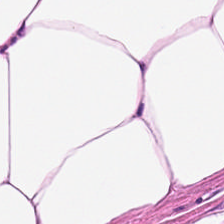H&E-stained tissue section · 0.5 µm per pixel · whole-slide-image patch. Predominant tissue = fat tissue.
